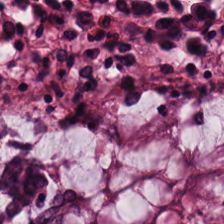H&E.
{"tissue_type": "normal colonic mucosa"}
